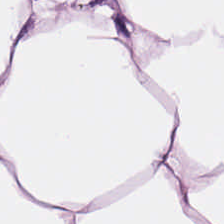Tissue = adipocytes.
